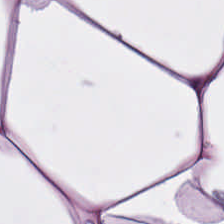Tissue — adipocytes.
